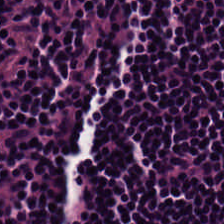Stain: hematoxylin and eosin.
Preparation: formalin-fixed paraffin-embedded section.
Acquisition: brightfield microscopy.
Tissue class: lymphocytes.
